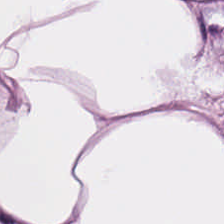224×224 px tile · H&E · 20× equivalent magnification.
Predominant tissue — adipocytes.
